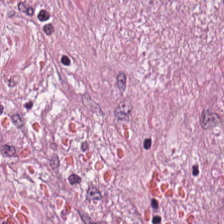The tissue type is tumor stroma.
